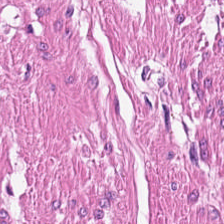H&E stain. Classification = smooth-muscle tissue.
